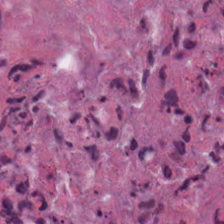Hematoxylin-and-eosin stained section · formalin-fixed paraffin-embedded section.
Impression → necrotic debris.
